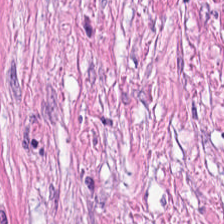H&E stain; 224×224 px tile. Tumor-associated stroma.
